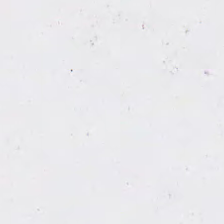H&E — Classification — empty background.
